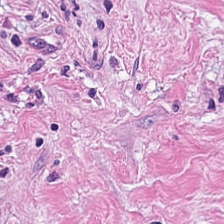Brightfield. Hematoxylin-and-eosin stained section. Showing tumor stroma.
